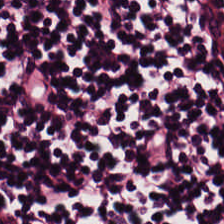H&E. 224×224 px patch. Predominantly lymphocyte aggregate.
